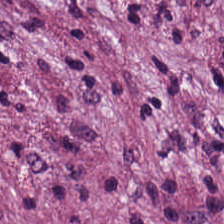0.5 microns per pixel. H&E — Q: Identify the tissue.
A: This is cancer-associated stroma.
